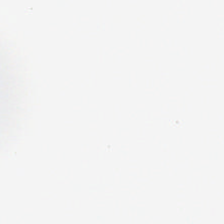FFPE; 224×224 px patch; H&E stain.
This field is background (no tissue).
